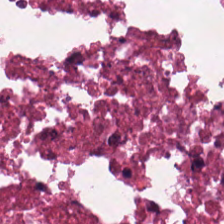Histology → debris.
